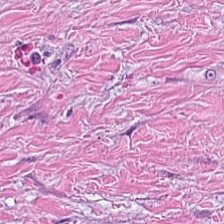H&E. FFPE. The tissue class is tumor stroma.
